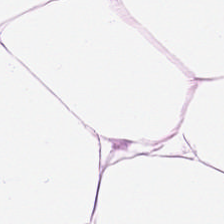Hematoxylin-and-eosin stained section.
Finding → fat tissue.
